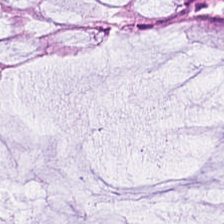Hematoxylin and eosin; brightfield microscopy; 0.5 µm/px — Q: Classify this patch.
A: Non-neoplastic colon mucosa.
